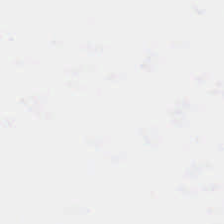Hematoxylin-and-eosin stained section — {"content": "background"}
